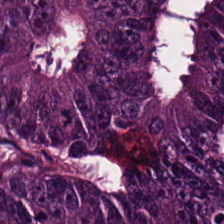H&E.
Classification: malignant epithelium.
